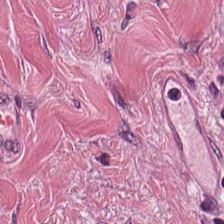Hematoxylin and eosin — Q: What does this patch show?
A: It is desmoplastic stroma.
